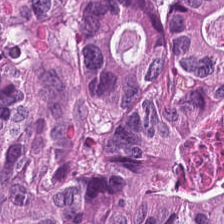Adenocarcinoma.
